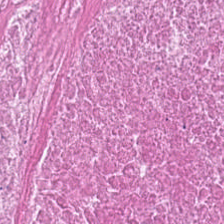Hematoxylin-and-eosin stained section · 224×224 px tile — The classification is debris.
